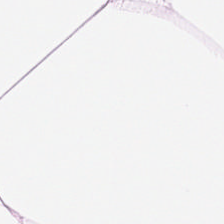Hematoxylin-and-eosin stained section. The predominant tissue is adipose.
